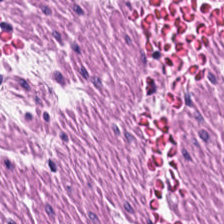H&E-stained tissue section.
This patch shows smooth-muscle tissue.
